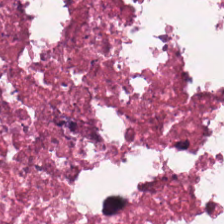H&E-stained section; the field shows debris.
